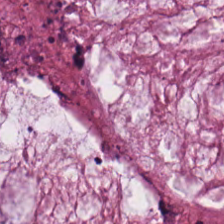224×224 px tile; H&E stain — Impression → mucus.
